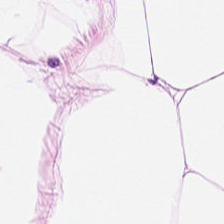Hematoxylin-and-eosin stained section.
Histology → fat tissue.
